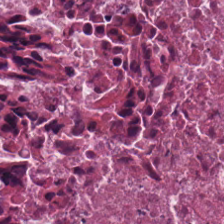Stain: hematoxylin-and-eosin stained section.
Preparation: FFPE.
Tissue class: debris.
